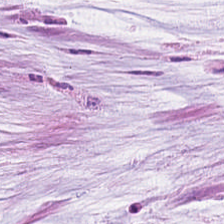Hematoxylin and eosin. 0.5 µm/px — Predominant tissue — mucin.
